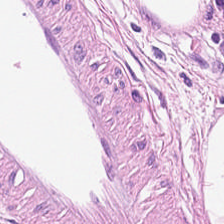Q: What tissue is shown?
A: Adipose.
